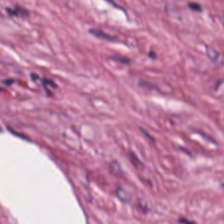FFPE tissue section · H&E-stained tissue section · 224×224 px tile — Tissue — tumor-associated stroma.
